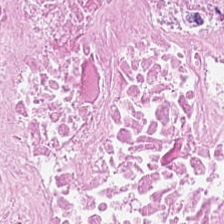224×224 px tile · FFPE tissue section · H&E.
This field is cellular debris.
